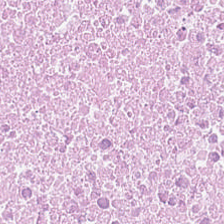H&E-stained tissue section — Histology — debris.
